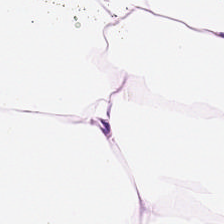Q: What tissue is shown?
A: It is adipose tissue.
